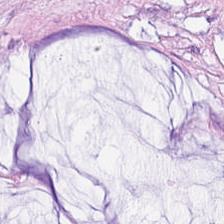H&E — This patch shows extracellular mucin.
